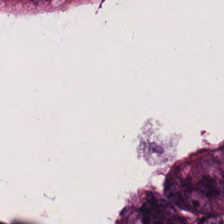H&E-stained tissue section.
The predominant tissue is malignant epithelium.
